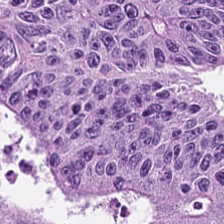Stain: hematoxylin-and-eosin stained section.
Tissue type: colorectal adenocarcinoma.
